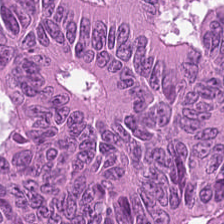H&E-stained tissue section — This patch shows adenocarcinoma.
